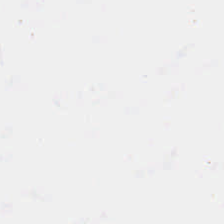Background — no tissue in this field.
